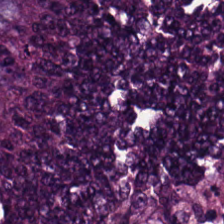Hematoxylin-and-eosin stained section. Whole-slide-image patch. Tissue type: adenocarcinoma.
